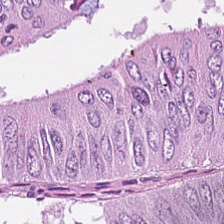Q: What is shown in this field?
A: The field shows malignant epithelium.
